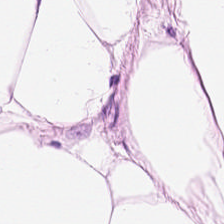Hematoxylin-and-eosin stained section.
The tissue here is adipocytes.
